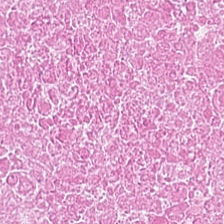0.5 µm/px · hematoxylin-and-eosin stained section. Cellular debris.
